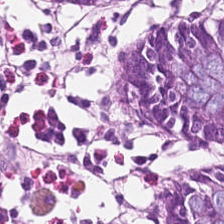{"tissue_type": "benign colonic mucosa"}
